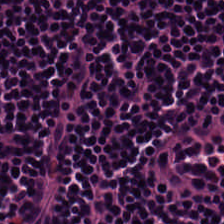Q: What type of tissue is this?
A: This is lymphoid infiltrate.
